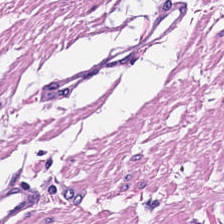H&E-stained tissue section. Formalin-fixed paraffin-embedded section — The tissue here is smooth muscle.
